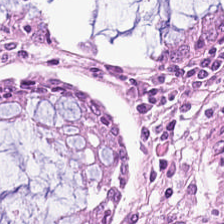Q: What is shown here?
A: This is non-neoplastic colon mucosa.
